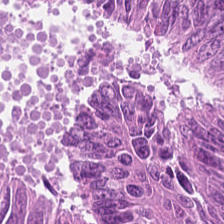Brightfield microscopy · H&E stain. The tissue class is tumor epithelium.
